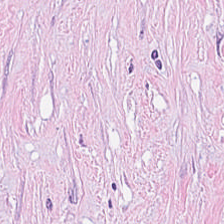Stain: hematoxylin and eosin.
Tissue class: tumor-associated stroma.
